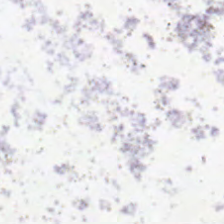H&E-stained tissue section · 224×224 pixel tile.
Content: no tissue.
